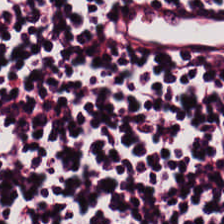Hematoxylin and eosin — The predominant tissue is lymphocytes.
